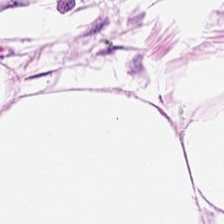H&E-stained tissue section.
Predominant tissue — adipose tissue.
